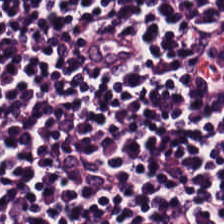H&E-stained tissue section. The tissue here is lymphocyte aggregate.
